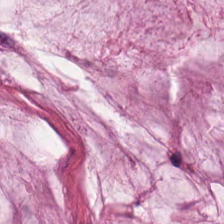Whole-slide-image patch · hematoxylin-and-eosin stained section.
The tissue here is extracellular mucin.
